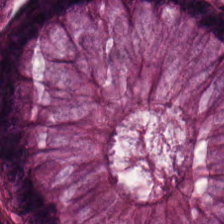Formalin-fixed paraffin-embedded section. H&E.
Predominant tissue = benign colonic mucosa.
